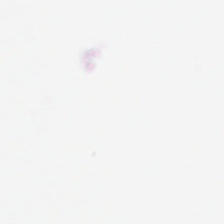H&E stain; FFPE tissue section; WSI patch — {"content": "background (no tissue)"}
